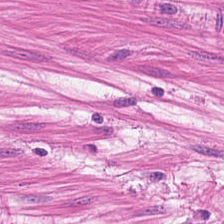Hematoxylin-and-eosin stained section. 0.5 µm/px. Smooth muscle.
